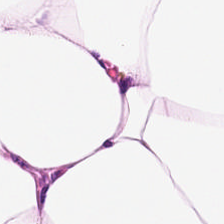H&E — fat tissue.
